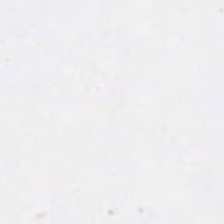Field content = empty background.
